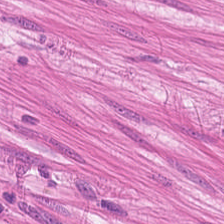Stain: H&E stain.
Tissue type: smooth-muscle tissue.
